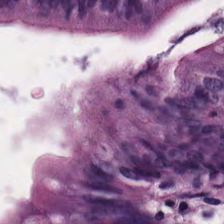Q: What is shown here?
A: The field shows non-neoplastic colon mucosa.
